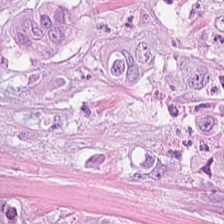Stain: hematoxylin and eosin.
Acquisition: WSI patch.
Tissue type: colorectal adenocarcinoma epithelium.
